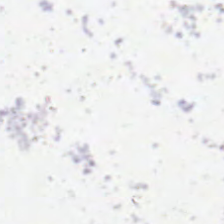Hematoxylin and eosin. This patch shows background (no tissue).
